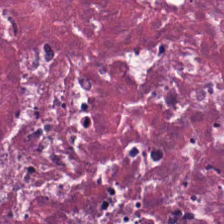Finding — cellular debris.
